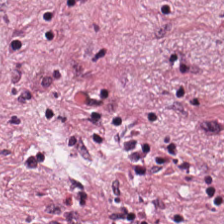H&E. Q: What type of tissue is this?
A: Desmoplastic stroma.
